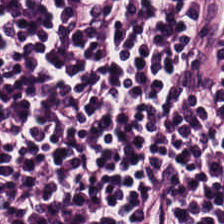H&E stain — Classification: lymphocyte aggregate.
